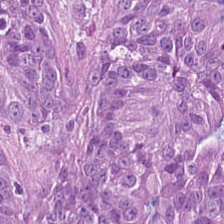H&E stain.
Finding → malignant epithelium.
